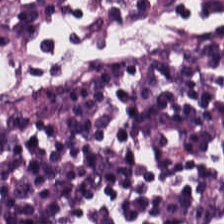H&E stain.
Tissue — lymphocytes.
